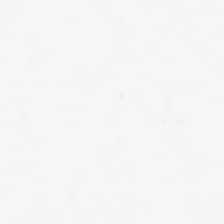H&E-stained tissue section.
This field is background (no tissue).
